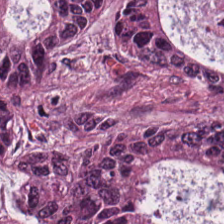H&E.
The predominant tissue is malignant epithelium.
